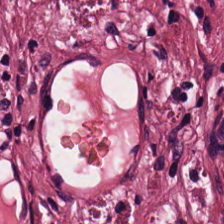Hematoxylin-and-eosin stained section.
Tissue — tumor stroma.
